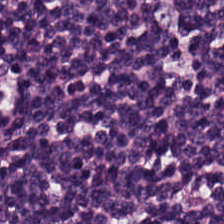This field is lymphocytes.
